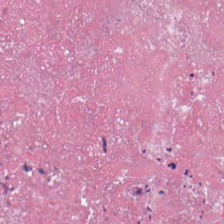Stain: hematoxylin and eosin.
Predominant tissue: debris.
